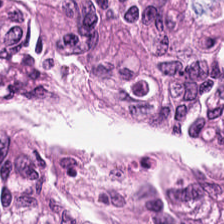Stain: H&E.
Predominant tissue: malignant epithelium.
